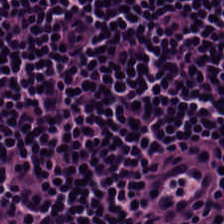H&E stain.
Predominant tissue — lymphocytes.
